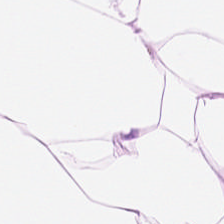The tissue is adipocytes.
